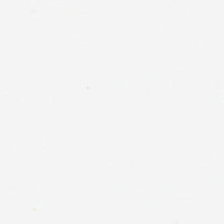H&E stain · 224×224 px patch · formalin-fixed paraffin-embedded section — Classification: background.
